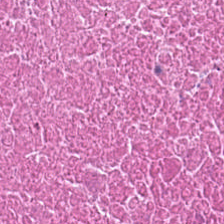H&E stain · 20× equivalent magnification · FFPE tissue section.
Debris.
